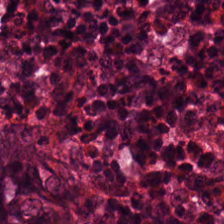H&E patch showing normal colonic mucosa.
